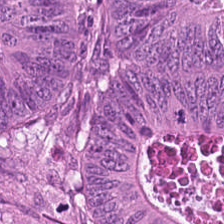WSI patch; hematoxylin and eosin; 0.5 µm/px.
{"tissue_type": "colorectal adenocarcinoma epithelium"}
